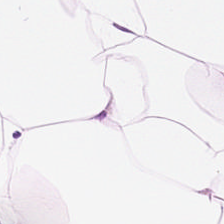Predominant tissue — adipocytes.
